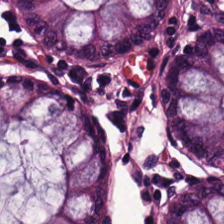The tissue here is non-neoplastic colon mucosa.
